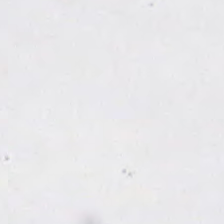Hematoxylin-and-eosin stained section.
Finding → background (no tissue).
